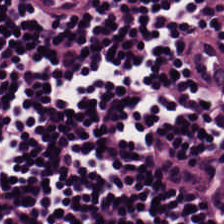Predominant tissue — lymphocytes.
